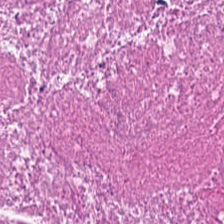0.5 µm/px; 224×224 pixel tile; H&E.
Finding — necrotic debris.
